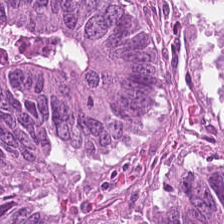H&E stain. The classification is colorectal adenocarcinoma.
